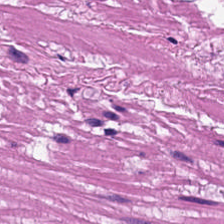H&E — Tissue type — smooth-muscle tissue.
